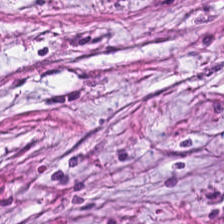H&E-stained tissue section. 0.5 microns per pixel — Showing tumor stroma.
